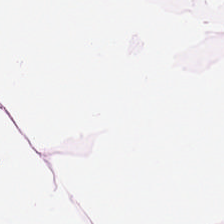The tissue type is adipocytes.
